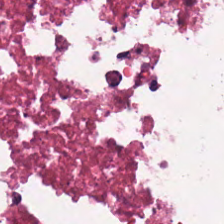Finding → necrotic debris.
